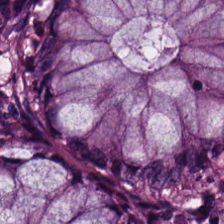Hematoxylin and eosin.
Tissue = non-neoplastic colon mucosa.
